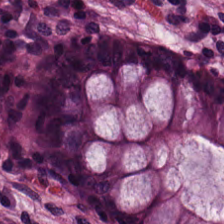Stain: H&E stain.
Tile size: 224×224 pixel tile.
Tissue: normal colon mucosa.
